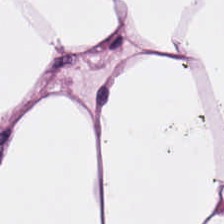Finding — adipose.
